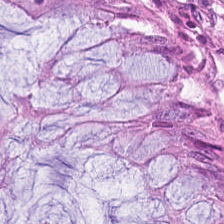H&E-stained tissue section. Predominant tissue — benign colonic mucosa.
